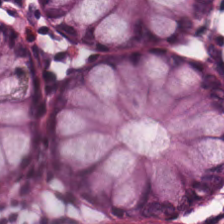Hematoxylin-and-eosin stained section. Whole-slide-image patch — Q: What tissue type is shown here?
A: It is non-neoplastic colon mucosa.
